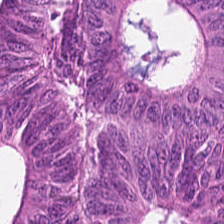Stain: H&E-stained tissue section.
Tile size: 224×224 px patch.
Tissue type: tumor epithelium.
